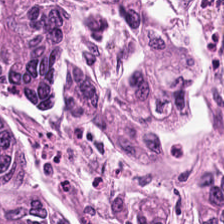This patch shows tumor epithelium.
